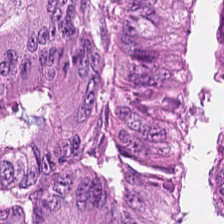Impression → malignant epithelium.
